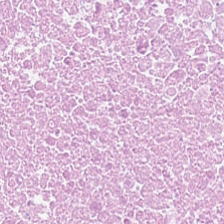Hematoxylin-and-eosin stained section. Impression → necrotic debris.
